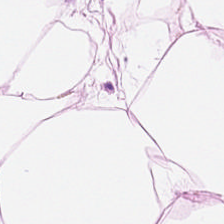Hematoxylin-and-eosin stained section · 224×224 px patch.
The tissue here is adipocytes.
